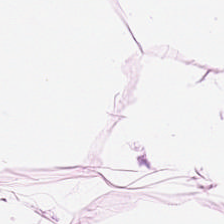Q: What tissue type is shown here?
A: This is adipose tissue.
